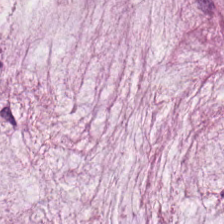Hematoxylin-and-eosin section: mucus.
